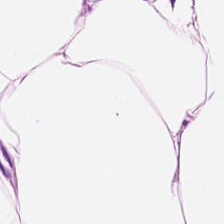H&E-stained tissue section · 224×224 px patch · brightfield microscopy — Q: What type of tissue is this?
A: It is adipocytes.
